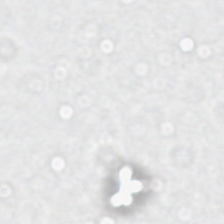Histology — background.
